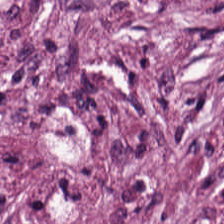Hematoxylin-and-eosin section: tumor stroma.
